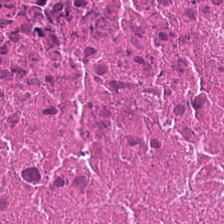Stain: hematoxylin-and-eosin stained section.
Tissue class: debris.
